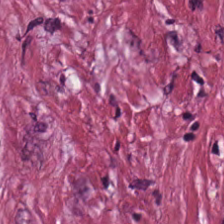H&E; 20× equivalent magnification. The tissue type is cancer-associated stroma.
